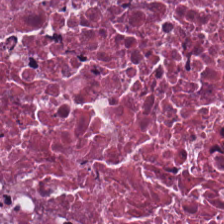H&E patch showing debris.
